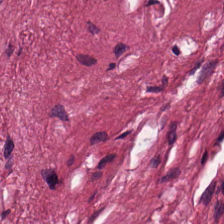Stain: H&E-stained tissue section.
Classification: tumor-associated stroma.
